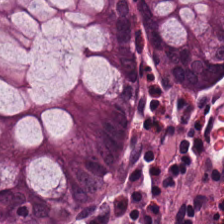H&E stain.
The predominant tissue is non-neoplastic colon mucosa.
